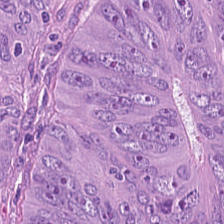Hematoxylin and eosin. WSI patch — The tissue is colorectal adenocarcinoma.
